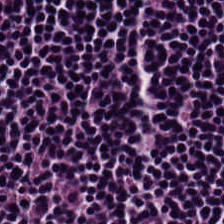{"tissue_type": "lymphocyte aggregate"}
